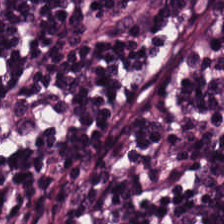This patch shows lymphocyte aggregate.
